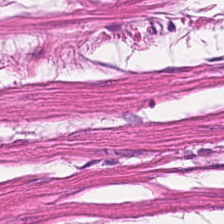Brightfield microscopy; H&E-stained tissue section — {"tissue_type": "smooth-muscle tissue"}
